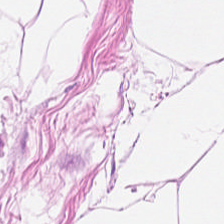H&E-stained tissue section. 224×224 px patch — Showing fat tissue.
